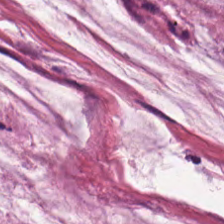H&E-stained tissue section.
{"tissue_type": "mucin"}
